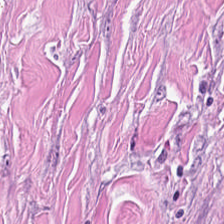Stain: H&E.
Predominant tissue: cancer-associated stroma.
